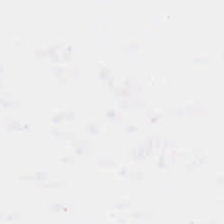Hematoxylin-and-eosin stained section. Classification — no tissue.
